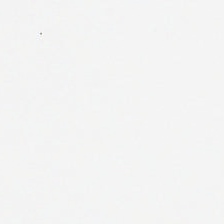Impression — empty background.
